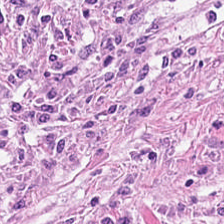Stain: hematoxylin and eosin.
Acquisition: whole-slide-image patch.
Preparation: FFPE.
Classification: desmoplastic stroma.
